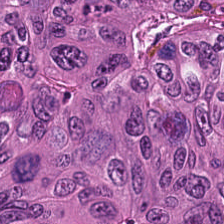H&E. {"tissue_type": "tumor epithelium"}
